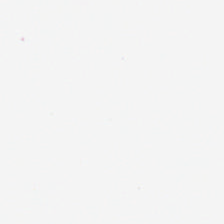Hematoxylin and eosin; brightfield microscopy.
{"content": "background"}
